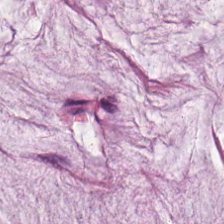H&E stain; 224×224 px patch — Tissue type: mucus.
